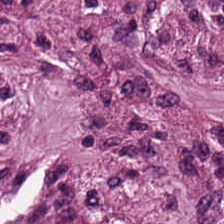Hematoxylin and eosin — Desmoplastic stroma.
